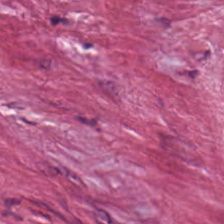H&E-stained tissue section — Tissue type = tumor-associated stroma.
